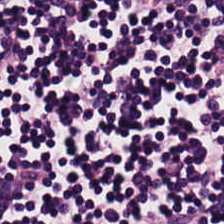H&E-stained tissue section; brightfield; FFPE — This patch shows lymphoid infiltrate.
